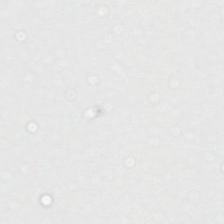Hematoxylin-and-eosin stained section.
Classification = background (no tissue).
